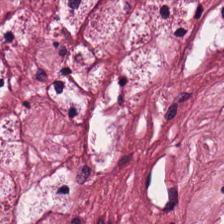Stain: hematoxylin and eosin.
Tissue type: tumor-associated stroma.
